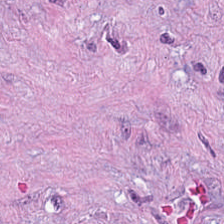Q: Identify the tissue.
A: It is desmoplastic stroma.
